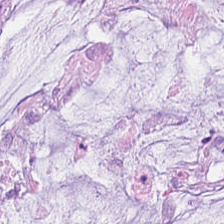Showing extracellular mucin.
